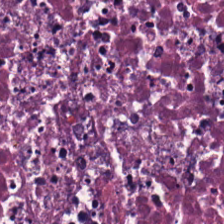Hematoxylin and eosin — Classification — necrotic debris.
